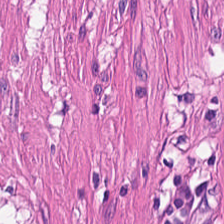H&E-stained tissue section — Q: What is the predominant tissue type?
A: This is smooth muscle.
